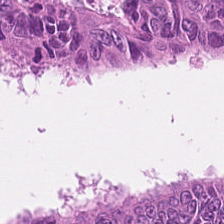H&E · WSI patch — Predominant tissue = malignant epithelium.
